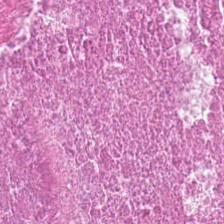Classification — necrotic debris.
